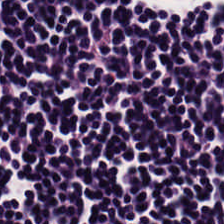H&E stain. 224×224 px tile — This patch shows lymphocytic infiltrate.
